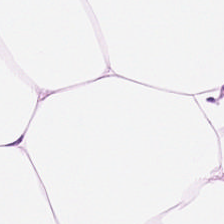Hematoxylin-and-eosin stained section — Showing fat tissue.
